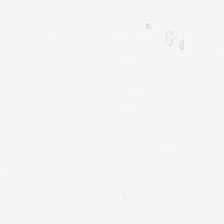H&E-stained tissue section. This field is background (no tissue).
